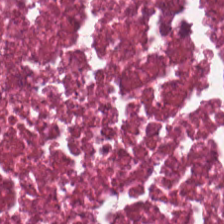Histology — necrotic debris.
